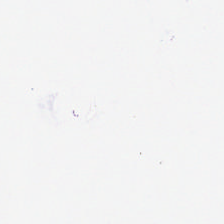0.5 µm/px · H&E stain — No tissue present; background only.
